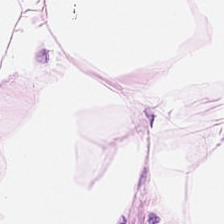H&E-stained tissue section — Predominant tissue — fat tissue.
